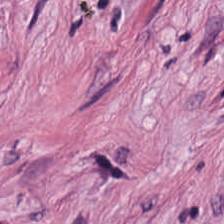Stain: hematoxylin-and-eosin stained section.
Predominant tissue: desmoplastic stroma.
